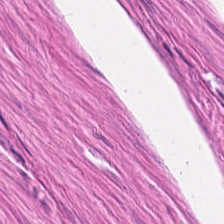The classification is smooth-muscle tissue.
